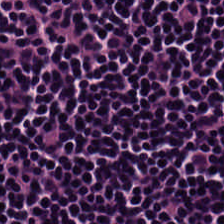H&E stain; formalin-fixed paraffin-embedded section. The predominant tissue is lymphocyte aggregate.
